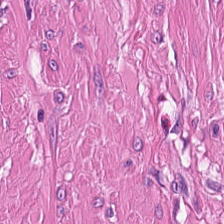Q: What tissue is shown?
A: This is muscularis.
